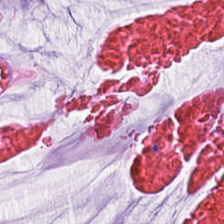Q: What is shown here?
A: The field shows extracellular mucin.
